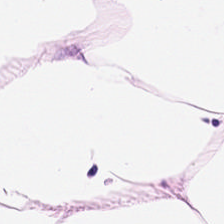H&E-stained tissue section. Q: What tissue is shown?
A: Adipocytes.
